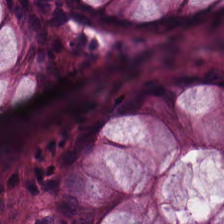H&E-stained tissue section.
Q: What is the predominant tissue type?
A: The field shows normal colonic mucosa.
